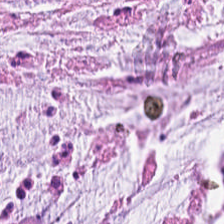Hematoxylin-and-eosin stained section — Tissue = mucin.
